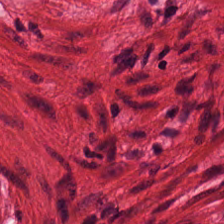0.5 µm/px; FFPE tissue section; H&E. Q: What tissue type is shown here?
A: Smooth-muscle tissue.
